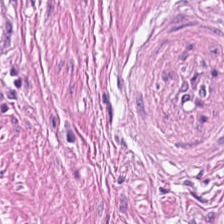H&E-stained tissue section. Q: What type of tissue is this?
A: Smooth muscle.
